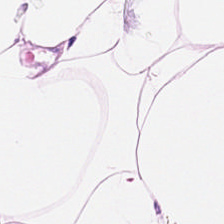Hematoxylin-and-eosin stained section.
Q: What is the predominant tissue type?
A: Adipocytes.
